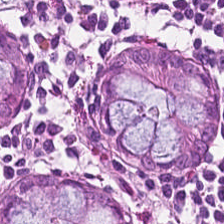Hematoxylin and eosin; FFPE; brightfield.
Predominant tissue — normal colon mucosa.
